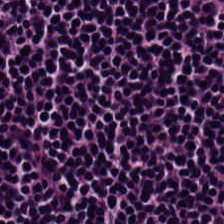Stain: hematoxylin and eosin.
Classification: lymphocyte aggregate.
